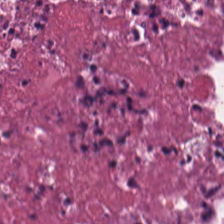The tissue is necrotic debris.
